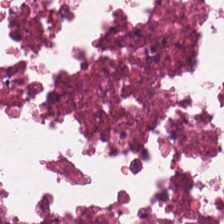Hematoxylin and eosin — Q: What is the predominant tissue type?
A: It is cellular debris.
